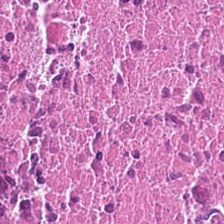224×224 pixel tile · H&E — Finding → debris.
